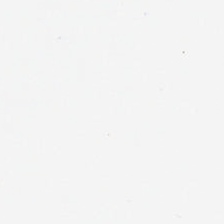Field content = empty background.
